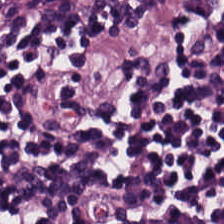224×224 px patch; H&E-stained tissue section — Finding → lymphocyte aggregate.
